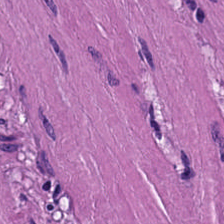WSI patch; H&E-stained tissue section — Q: Classify this patch.
A: It is smooth muscle.
